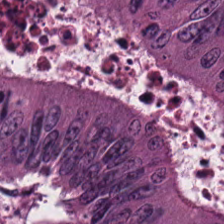Tissue — colorectal adenocarcinoma.
